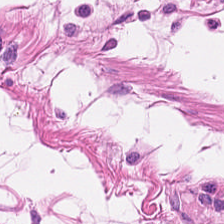FFPE tissue section; hematoxylin and eosin.
Q: What tissue type is shown here?
A: The field shows muscularis.
